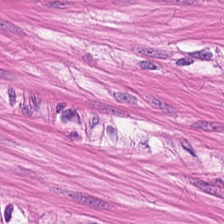FFPE tissue section. Hematoxylin and eosin. This patch shows muscularis.
